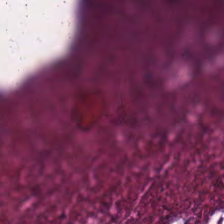0.5 µm per pixel. H&E-stained tissue section — This patch shows necrotic debris.
